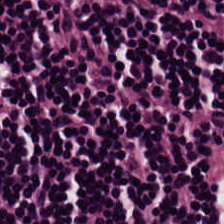H&E stain. 20× equivalent magnification — Q: Identify the tissue.
A: Lymphocytic infiltrate.
